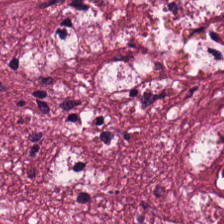224×224 px patch; H&E-stained tissue section.
Predominantly desmoplastic stroma.
